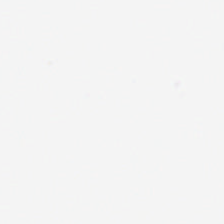224×224 px patch; hematoxylin-and-eosin stained section. Field content: background.
